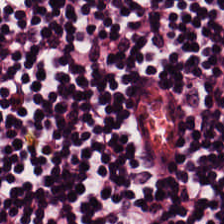Stain: H&E-stained tissue section.
Classification: lymphoid infiltrate.
